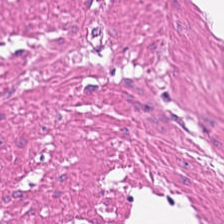Stain: H&E-stained tissue section.
Tissue: muscularis.
